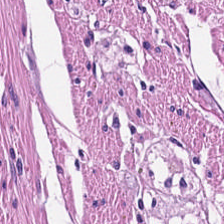Histology — muscularis.
